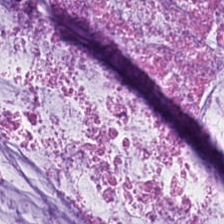Hematoxylin-and-eosin stained section. FFPE. This patch shows extracellular mucin.
